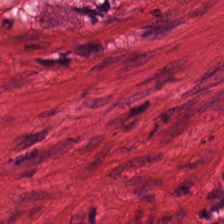H&E.
This field is muscularis.
